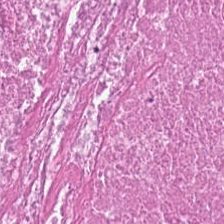0.5 µm per pixel. H&E stain. Formalin-fixed paraffin-embedded section — Q: What is the predominant tissue type?
A: This is debris.
